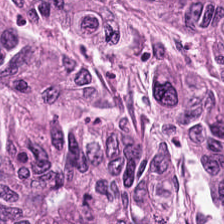The tissue type is tumor epithelium.
